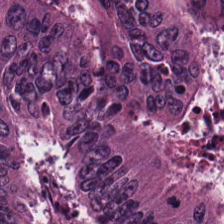Hematoxylin and eosin. Showing colorectal adenocarcinoma.
